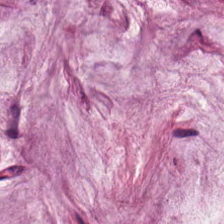Brightfield microscopy. 224×224 pixel tile. H&E stain — Finding → mucus.
